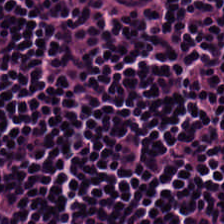H&E stain — Predominantly lymphocytic infiltrate.
